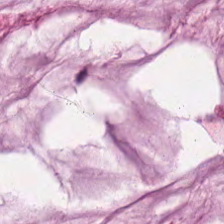H&E.
Impression — extracellular mucin.
